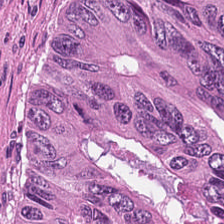Stain: H&E-stained tissue section.
Tissue type: debris.
